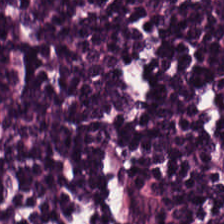H&E. This field is lymphocytes.
